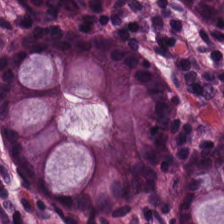{"tissue_type": "non-neoplastic colon mucosa"}
